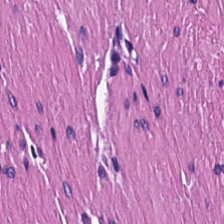H&E stain; 224×224 pixel tile. Tissue class — smooth-muscle tissue.
